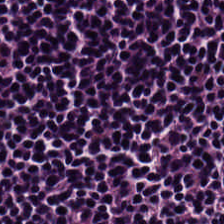H&E stain.
Predominant tissue = lymphocyte aggregate.
